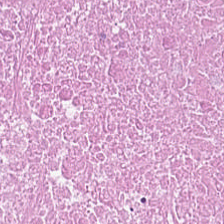Q: Classify this patch.
A: Debris.
